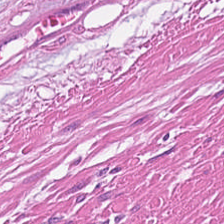Hematoxylin-and-eosin stained section. This field is smooth muscle.
